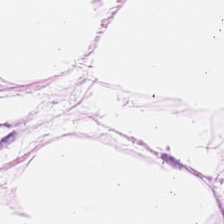Histology — adipocytes.
